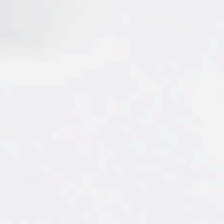Hematoxylin and eosin; FFPE. Q: What does this patch show?
A: Empty background.
